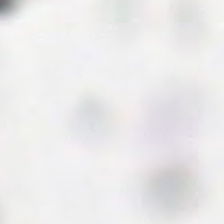H&E. 0.5 µm per pixel. Classification — background.
